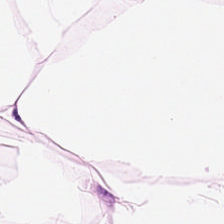Hematoxylin-and-eosin stained section · 20× equivalent magnification.
The tissue here is adipose.
